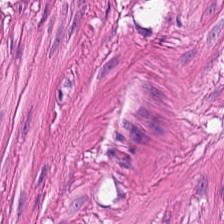Stain: H&E stain.
Resolution: 0.5 µm per pixel.
Tissue type: muscularis.
